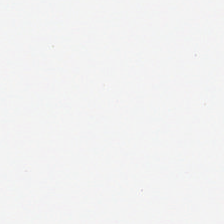H&E.
Background — no tissue in this field.
